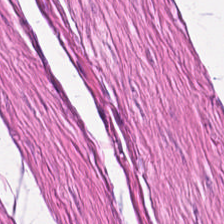H&E-stained tissue section; 224×224 pixel tile; WSI patch. Tissue class: smooth-muscle tissue.
